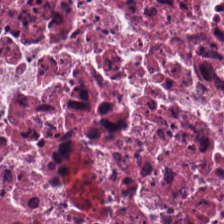FFPE. H&E — Debris.
